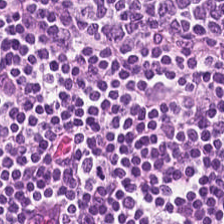H&E-stained tissue section. Brightfield microscopy.
Tissue — lymphocytic infiltrate.
